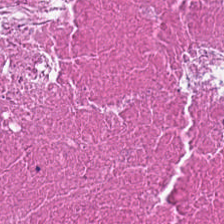Hematoxylin and eosin — Histology — debris.
